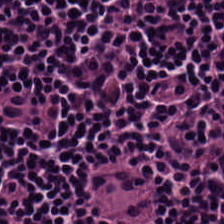The tissue here is lymphoid infiltrate.
